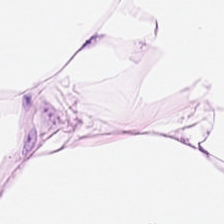Stain: H&E-stained tissue section.
Tissue class: adipocytes.
